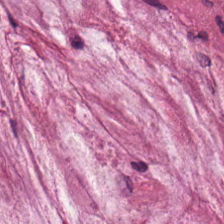0.5 microns per pixel · hematoxylin and eosin — Predominant tissue: mucus.
